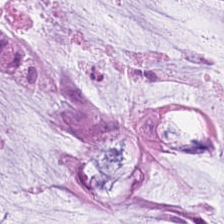H&E; whole-slide-image patch; 0.5 microns per pixel — Finding — extracellular mucin.
